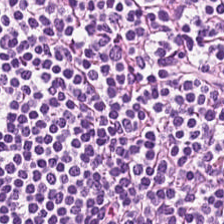H&E — lymphocyte aggregate.
